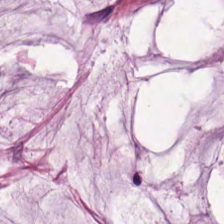Mucus.
